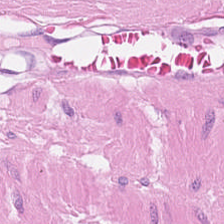H&E patch showing smooth-muscle tissue.
